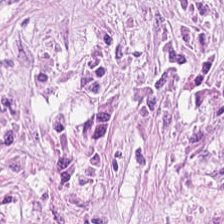0.5 µm per pixel. Hematoxylin and eosin. Classification: desmoplastic stroma.
